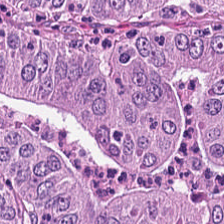H&E-stained tissue section — Finding → adenocarcinoma.
